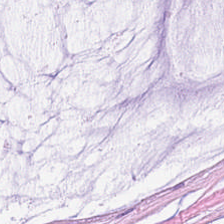H&E; 224×224 pixel tile; 0.5 µm per pixel. Predominant tissue — mucus.
